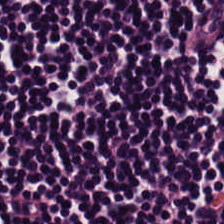Hematoxylin and eosin.
Impression → lymphocytes.
